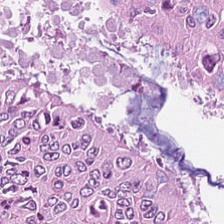H&E stain. Q: What does this patch show?
A: This is colorectal adenocarcinoma.
